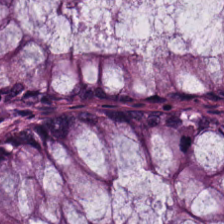H&E. Tissue class = normal colon mucosa.
